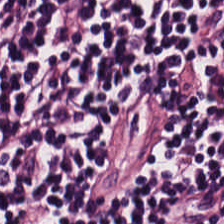0.5 microns per pixel. Hematoxylin-and-eosin stained section — Q: What tissue type is shown here?
A: The field shows lymphocytes.
